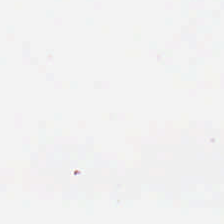Hematoxylin and eosin.
This patch shows no tissue.
